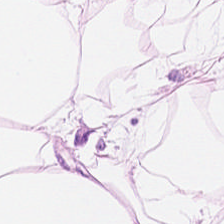Brightfield microscopy. Hematoxylin-and-eosin stained section. Q: What tissue is shown?
A: The field shows adipocytes.
